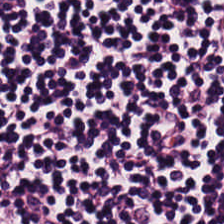FFPE tissue section. Brightfield. H&E-stained tissue section — Predominant tissue: lymphocytes.
